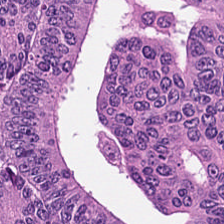WSI patch. Hematoxylin-and-eosin stained section. Q: What does this patch show?
A: Adenocarcinoma.
